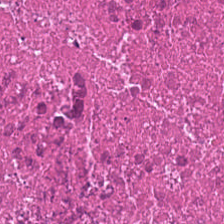0.5 microns per pixel · H&E · 224×224 px patch — Q: Classify this patch.
A: The field shows cellular debris.
